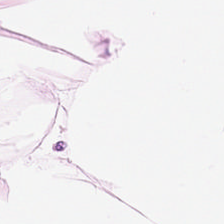Q: What is the predominant tissue type?
A: This is adipose tissue.
